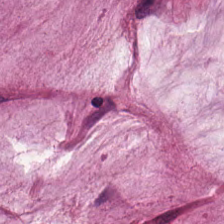Hematoxylin-and-eosin stained section — Impression — extracellular mucin.
